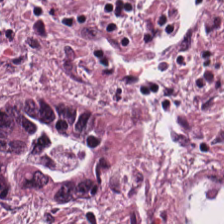224×224 px patch · H&E · WSI patch. Q: What is shown here?
A: The field shows malignant epithelium.
